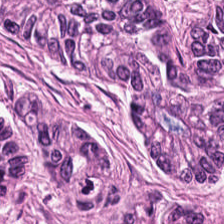H&E-stained tissue section — This patch shows colorectal adenocarcinoma.
